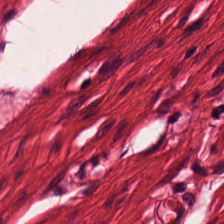Tissue class: smooth muscle.
